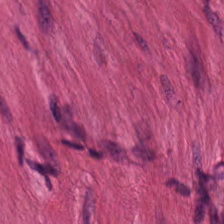Finding — smooth-muscle tissue.
